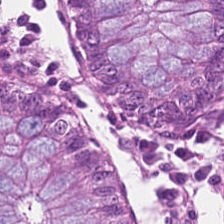H&E · 224×224 px tile.
Tissue — normal colonic mucosa.
